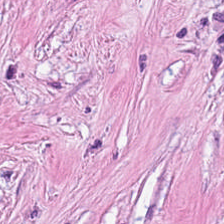WSI patch. Hematoxylin and eosin.
Q: Identify the tissue.
A: Cancer-associated stroma.
